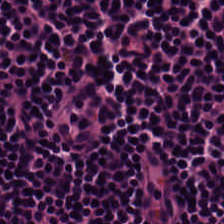Formalin-fixed paraffin-embedded section. H&E stain.
Tissue class — lymphocyte aggregate.
